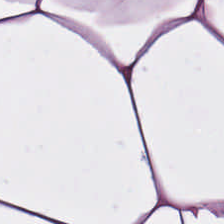20× equivalent magnification; hematoxylin-and-eosin stained section; FFPE tissue section.
This patch shows adipose.
